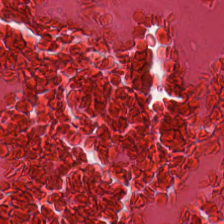0.5 µm per pixel; H&E — Tissue = debris.
